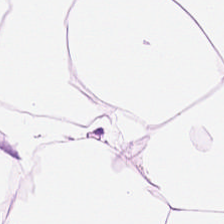H&E · 224×224 px tile.
Predominantly fat tissue.
